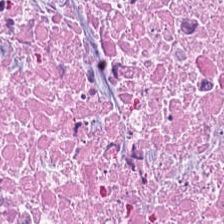H&E-stained tissue section. The predominant tissue is cellular debris.
